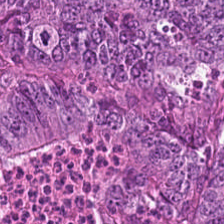This field is colorectal adenocarcinoma.
